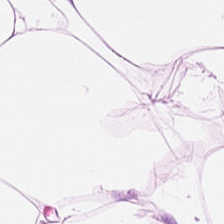Hematoxylin-and-eosin stained section. Histology — adipocytes.
